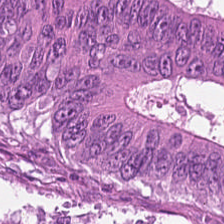H&E-stained tissue section.
The tissue here is colorectal adenocarcinoma epithelium.
